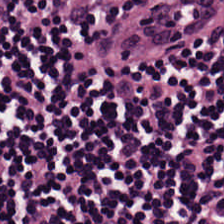FFPE tissue section · 0.5 microns per pixel · hematoxylin-and-eosin stained section — Showing lymphoid infiltrate.
